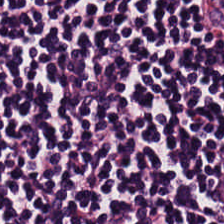Hematoxylin-and-eosin stained section — The tissue here is lymphocyte aggregate.
